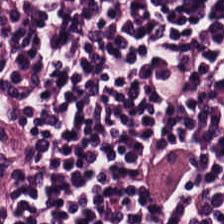0.5 µm/px. 224×224 px tile. H&E stain — The tissue class is lymphocytic infiltrate.
